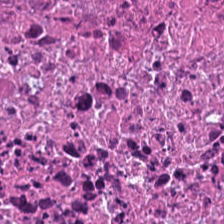H&E-stained tissue section showing necrotic debris.
